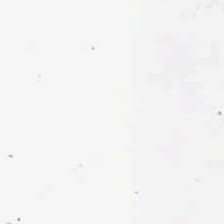224×224 pixel tile · H&E-stained tissue section · WSI patch. Content = background (no tissue).
